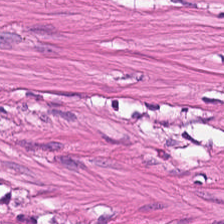H&E-stained tissue section — This field is smooth-muscle tissue.
